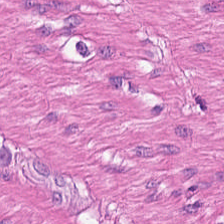Stain: H&E.
Preparation: formalin-fixed paraffin-embedded section.
Tile size: 224×224 pixel tile.
Tissue class: muscularis.
